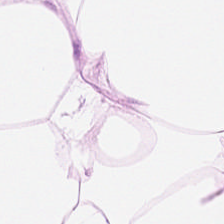H&E-stained tissue section.
Histology — adipose tissue.
